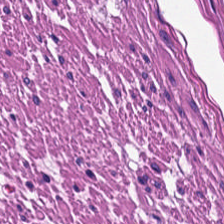Stain: H&E.
Tissue: smooth muscle.
